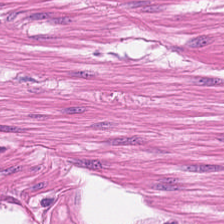H&E stain. Predominantly smooth-muscle tissue.
